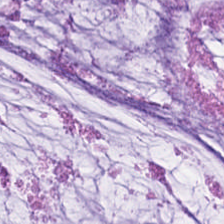H&E patch showing extracellular mucin.
